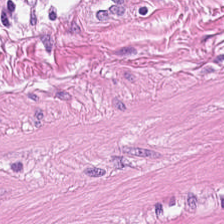Stain: H&E-stained tissue section.
Tissue type: smooth-muscle tissue.
